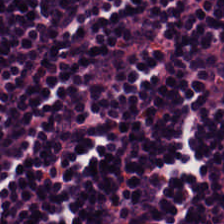Impression → lymphoid infiltrate.
